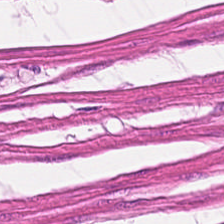Brightfield; hematoxylin and eosin. Q: What does this patch show?
A: This is muscularis.
